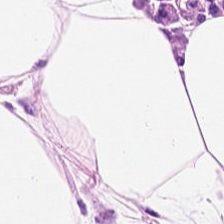H&E stain. Classification — fat tissue.
